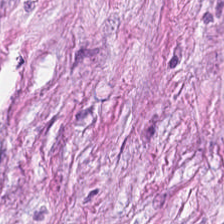H&E-stained tissue section showing desmoplastic stroma.
